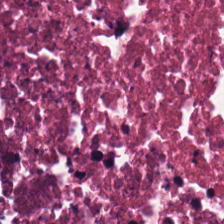224×224 px tile; H&E stain.
Tissue type: necrotic debris.
